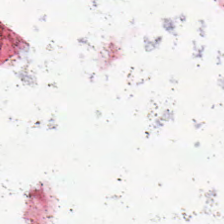Hematoxylin and eosin — This patch shows background (no tissue).
